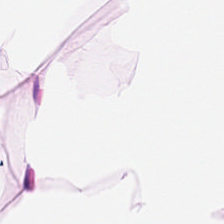0.5 µm per pixel. FFPE tissue section. H&E-stained tissue section. Impression → adipocytes.
